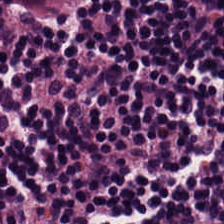Q: What tissue is shown?
A: The field shows lymphocyte aggregate.
